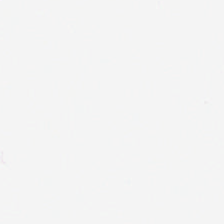Q: What does this patch show?
A: The field shows no tissue.
